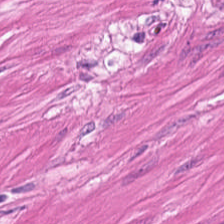Hematoxylin-and-eosin stained section.
This field is smooth muscle.
